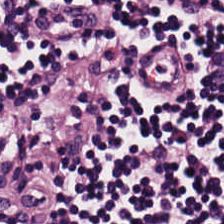Predominant tissue — lymphocytes.
